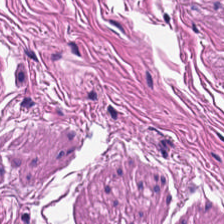Stain: H&E-stained tissue section.
Resolution: 0.5 µm per pixel.
Tile size: 224×224 px patch.
Tissue: smooth-muscle tissue.
